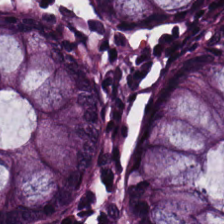H&E patch showing normal colonic mucosa.
